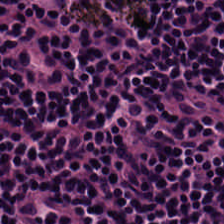Stain: H&E-stained tissue section.
Preparation: FFPE tissue section.
Acquisition: WSI patch.
Tissue type: lymphocytes.
